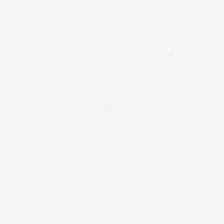Field content — no tissue.
